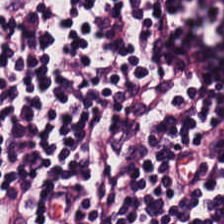Stain: hematoxylin-and-eosin stained section.
Predominant tissue: lymphocytes.
